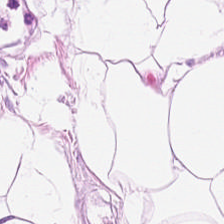Classification: fat tissue.
